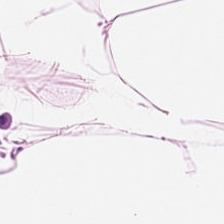0.5 microns per pixel; hematoxylin-and-eosin stained section.
Q: What tissue is shown?
A: This is fat tissue.
